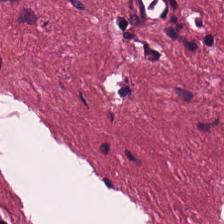Hematoxylin-and-eosin stained section.
The tissue here is desmoplastic stroma.
